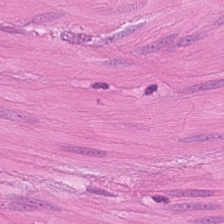0.5 microns per pixel. Hematoxylin and eosin. FFPE — The tissue is smooth-muscle tissue.
